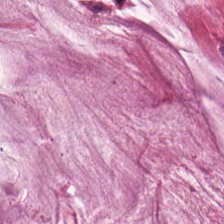Stain: H&E-stained tissue section.
Preparation: FFPE.
Tissue: mucin.
